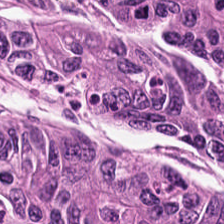Stain: H&E-stained tissue section.
Predominant tissue: adenocarcinoma.
